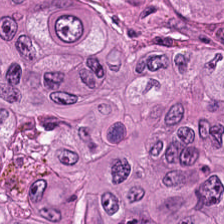Hematoxylin-and-eosin stained section — Tissue: malignant epithelium.
